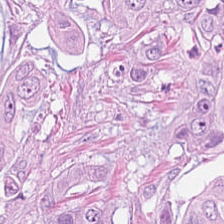Stain: hematoxylin and eosin.
Tissue class: tumor epithelium.
